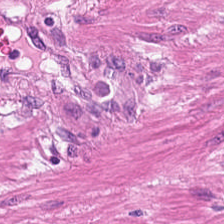Histology — smooth-muscle tissue.
